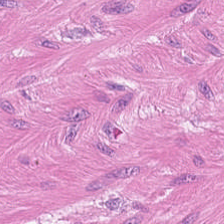Hematoxylin-and-eosin stained section.
This patch shows smooth muscle.
